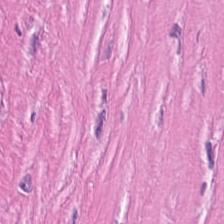Hematoxylin-and-eosin stained section. {"tissue_type": "tumor-associated stroma"}
